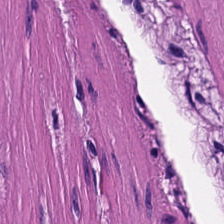Predominantly smooth muscle.
